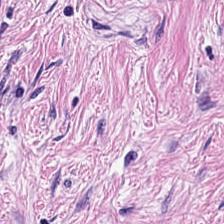Hematoxylin and eosin. The tissue here is desmoplastic stroma.
